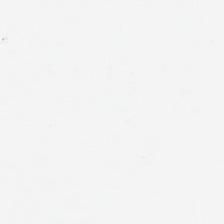Hematoxylin-and-eosin stained section. Q: What does this patch show?
A: The field shows background.
